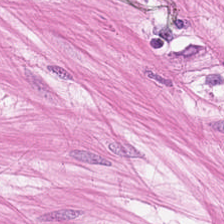H&E · FFPE tissue section.
Q: What is the predominant tissue type?
A: It is muscularis.
